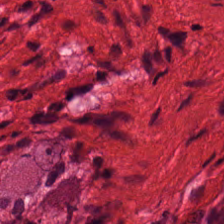H&E — Q: What is shown in this field?
A: Muscularis.
